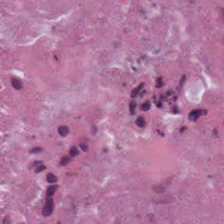Hematoxylin-and-eosin stained section; 224×224 pixel tile.
Cellular debris.
